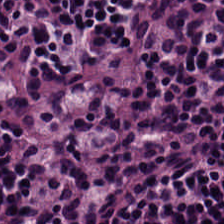Predominantly lymphoid infiltrate.
